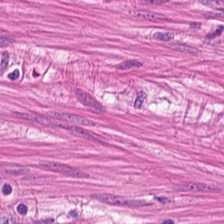H&E stain. Q: What is shown here?
A: It is muscularis.
